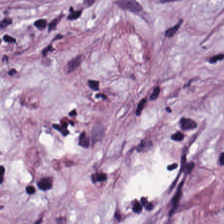Whole-slide-image patch; H&E stain — Predominant tissue = desmoplastic stroma.
